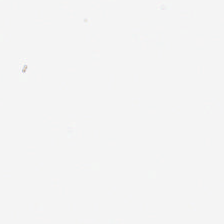Field content = background.
